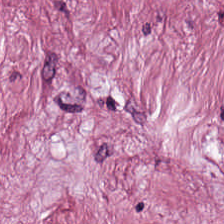H&E stain.
Q: What is shown here?
A: Tumor stroma.
